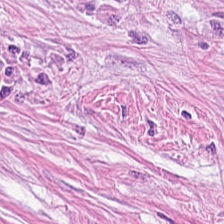H&E-stained tissue section.
Predominant tissue = cancer-associated stroma.
